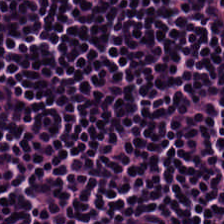Formalin-fixed paraffin-embedded section. 0.5 µm/px. Hematoxylin and eosin.
Q: What does this patch show?
A: It is lymphocytic infiltrate.
